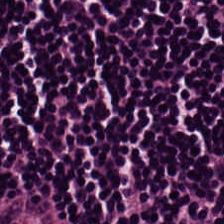H&E-stained tissue section. The tissue here is lymphocytic infiltrate.
